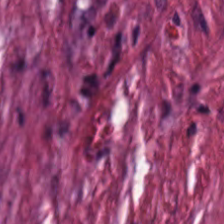H&E. Tissue — tumor-associated stroma.
